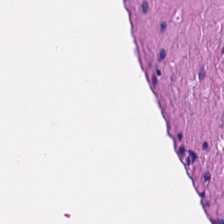H&E; formalin-fixed paraffin-embedded section — This field is smooth-muscle tissue.
